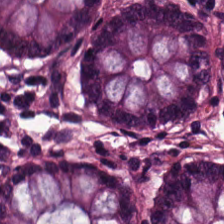Hematoxylin and eosin. This patch shows benign colonic mucosa.
